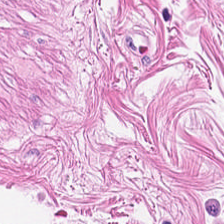Hematoxylin and eosin — Tissue class = muscularis.
